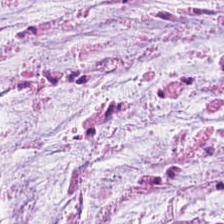H&E stain. 224×224 pixel tile. 0.5 µm/px.
The tissue here is mucin.
